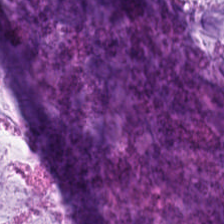Hematoxylin-and-eosin stained section.
Q: What is shown in this field?
A: This is mucin.
